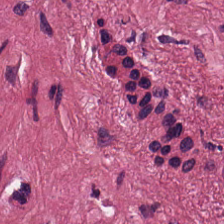H&E stain — The predominant tissue is tumor-associated stroma.
